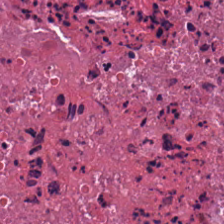H&E — debris.
